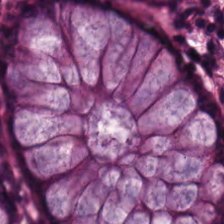H&E-stained tissue section. Q: Classify this patch.
A: This is non-neoplastic colon mucosa.
